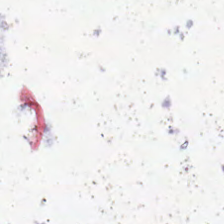Hematoxylin-and-eosin stained section. 224×224 pixel tile — Classification = empty background.
